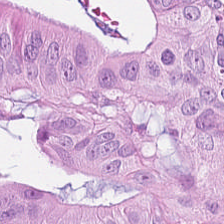Stain: hematoxylin-and-eosin stained section.
Resolution: 0.5 µm per pixel.
Acquisition: brightfield.
Tissue class: adenocarcinoma.
